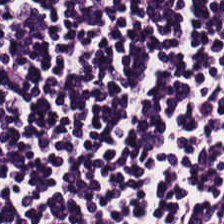Hematoxylin-and-eosin stained section. Tissue class: lymphoid infiltrate.
